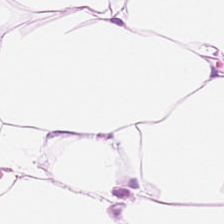Tissue: fat tissue.
